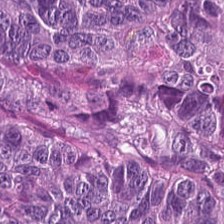H&E — colorectal adenocarcinoma.
